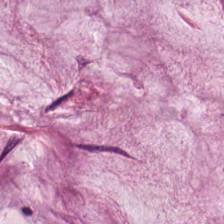224×224 px tile · 20× equivalent magnification · hematoxylin-and-eosin stained section — Classification: extracellular mucin.
